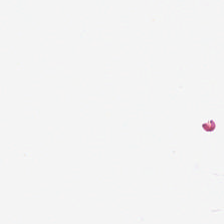Impression — no tissue.
